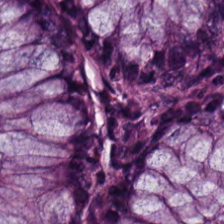H&E — normal colon mucosa.
